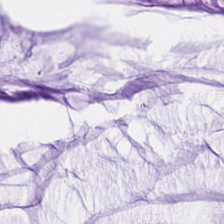0.5 µm per pixel; H&E-stained tissue section — Impression → mucus.
